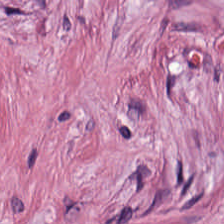Stain: H&E-stained tissue section.
Tissue: tumor stroma.
